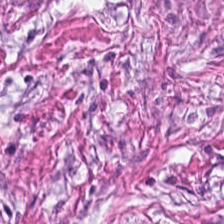FFPE. Hematoxylin and eosin. Histology — tumor-associated stroma.
